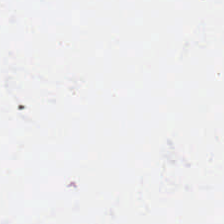0.5 µm/px; hematoxylin and eosin.
No tissue.
